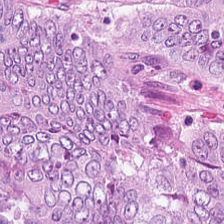H&E-stained tissue section. Impression → colorectal adenocarcinoma.
